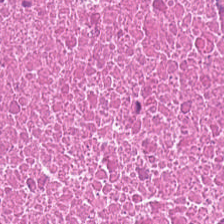0.5 µm/px. Brightfield. Hematoxylin-and-eosin stained section. Histology → debris.
